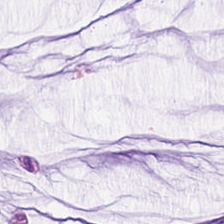FFPE tissue section; hematoxylin and eosin; 224×224 px tile — This field is mucin.
